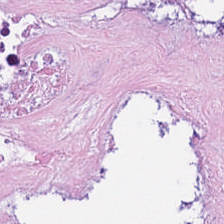Hematoxylin and eosin.
Tissue type = necrotic debris.
